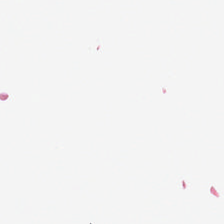H&E stain; FFPE.
{"content": "empty background"}
